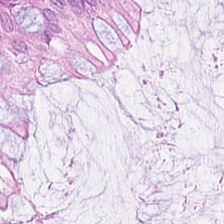Q: What is shown here?
A: The field shows non-neoplastic colon mucosa.
